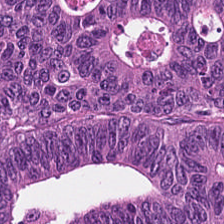224×224 pixel tile. Hematoxylin and eosin — Q: What tissue is shown?
A: This is colorectal adenocarcinoma epithelium.
